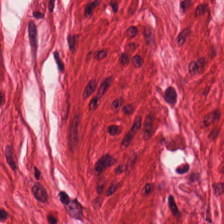H&E-stained tissue section. Histology → muscularis.
